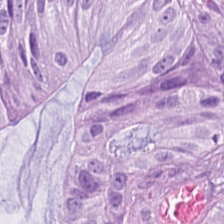0.5 µm/px. H&E stain.
Q: What does this patch show?
A: The field shows colorectal adenocarcinoma epithelium.
